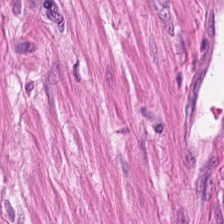224×224 px patch; hematoxylin-and-eosin stained section — Impression — smooth muscle.
